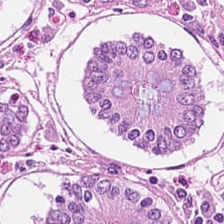H&E — Q: What tissue is shown?
A: It is normal colon mucosa.
